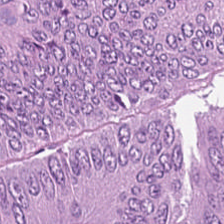H&E-stained tissue section. Brightfield microscopy.
Q: What type of tissue is this?
A: Tumor epithelium.
